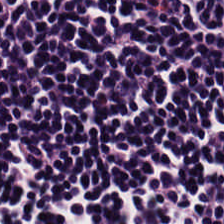H&E-stained tissue section. 0.5 microns per pixel.
{"tissue_type": "lymphocytes"}
